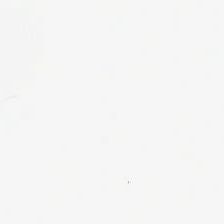Formalin-fixed paraffin-embedded section; H&E stain; 20× equivalent magnification.
Background — no tissue in this field.
